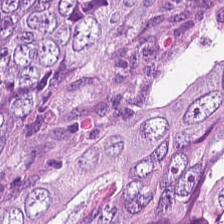Hematoxylin and eosin · 224×224 px tile. Q: What tissue type is shown here?
A: It is tumor epithelium.
